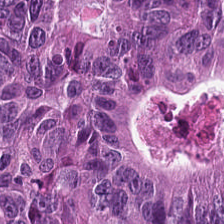{"tissue_type": "colorectal adenocarcinoma epithelium"}
